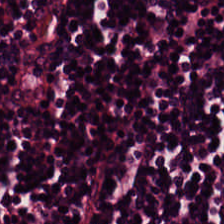H&E-stained tissue section.
The tissue here is lymphocytic infiltrate.
